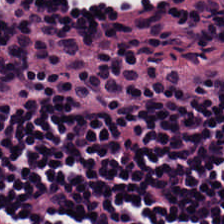H&E. Showing lymphocyte aggregate.
